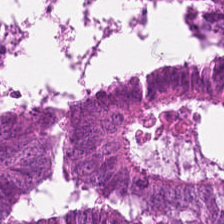Hematoxylin and eosin.
Finding → malignant epithelium.
